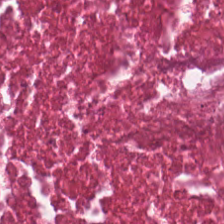Hematoxylin and eosin. FFPE. Q: What does this patch show?
A: This is debris.
